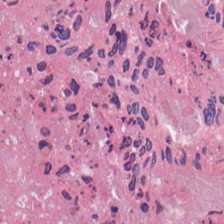Hematoxylin and eosin.
This field is necrotic debris.
